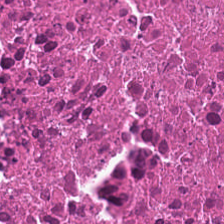H&E stain. Classification: debris.
